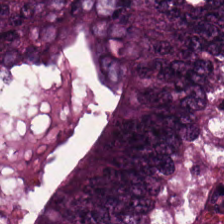Stain: H&E-stained tissue section.
Tissue class: colorectal adenocarcinoma epithelium.
